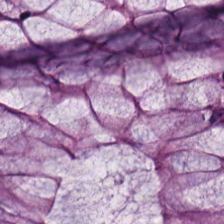H&E — {"tissue_type": "benign colonic mucosa"}
